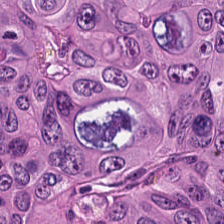H&E-stained tissue section showing adenocarcinoma.
